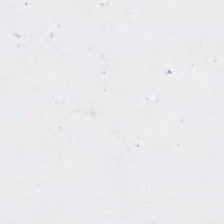This patch shows background.
